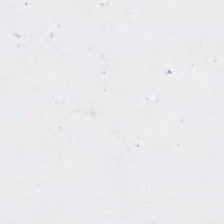This patch shows background.
